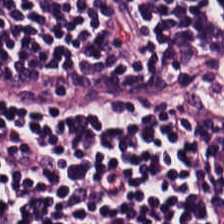Hematoxylin-and-eosin stained section — Classification: lymphoid infiltrate.
